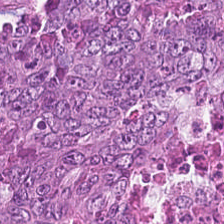FFPE; 224×224 pixel tile; hematoxylin-and-eosin stained section. The tissue here is adenocarcinoma.
